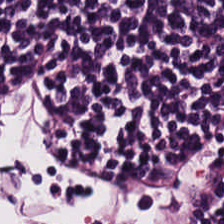224×224 px tile. H&E stain. Histology → lymphocytes.
